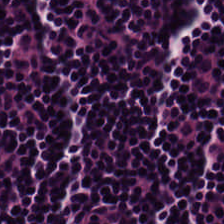Tissue type: lymphocytes.
